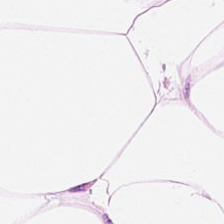The tissue type is fat tissue.
